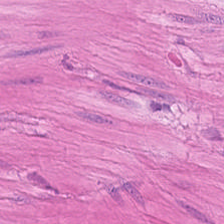Hematoxylin-and-eosin stained section.
Q: What is shown in this field?
A: It is smooth muscle.
